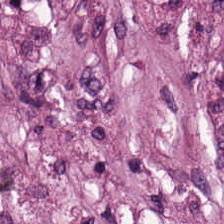Whole-slide-image patch; hematoxylin-and-eosin stained section. The tissue type is tumor-associated stroma.
